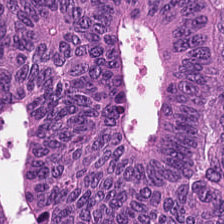H&E stain; brightfield microscopy.
{"tissue_type": "adenocarcinoma"}
